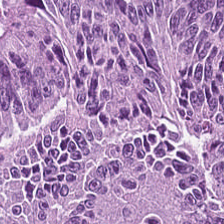224×224 px tile. Hematoxylin-and-eosin stained section.
Finding — adenocarcinoma.
